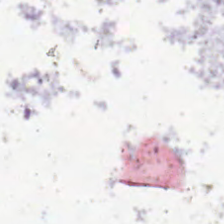Hematoxylin and eosin. Classification = no tissue.
